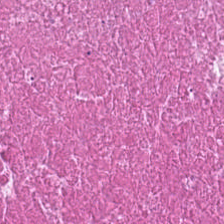Q: What does this patch show?
A: This is debris.
